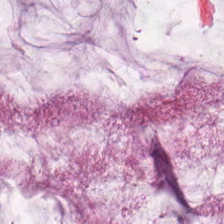Stain: hematoxylin-and-eosin stained section.
Resolution: 0.5 µm per pixel.
Tissue type: mucin.
